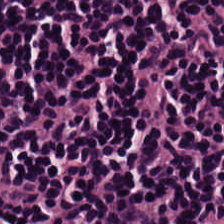Hematoxylin-and-eosin stained section. {"tissue_type": "lymphocyte aggregate"}
